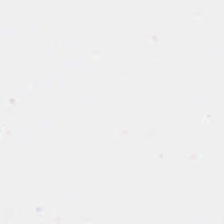H&E; brightfield. Empty field — no tissue.
